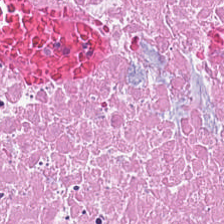Hematoxylin and eosin.
Q: What tissue type is shown here?
A: This is necrotic debris.
